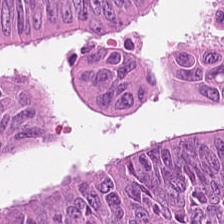Q: What tissue type is shown here?
A: Colorectal adenocarcinoma.
